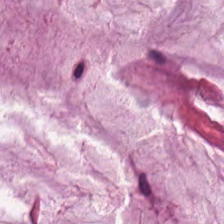Predominantly mucin.
